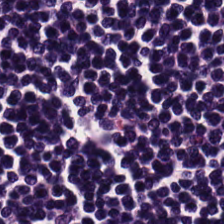H&E stain. Finding — lymphocytes.
